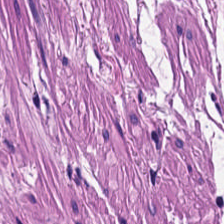H&E-stained tissue section · 0.5 microns per pixel.
Impression — smooth muscle.
